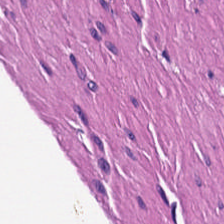Hematoxylin-and-eosin stained section · WSI patch — The predominant tissue is muscularis.
